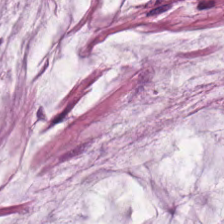H&E-stained tissue section — Classification — extracellular mucin.
